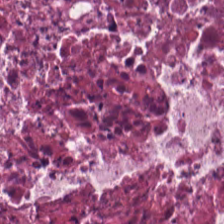Tissue type = cellular debris.
